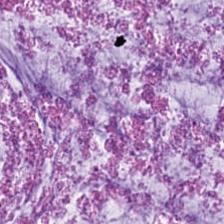Stain: H&E-stained tissue section.
Preparation: FFPE tissue section.
Predominant tissue: mucus.
